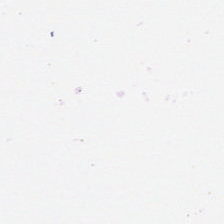This field is background (no tissue).
